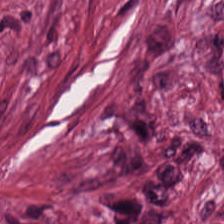Hematoxylin and eosin.
Q: What is shown in this field?
A: It is cancer-associated stroma.
